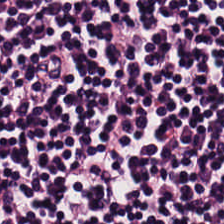H&E-stained tissue section — This field is lymphocytes.
